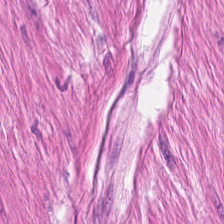H&E stain. Formalin-fixed paraffin-embedded section.
This patch shows smooth-muscle tissue.
